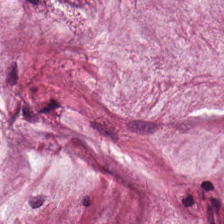This field is mucin.
